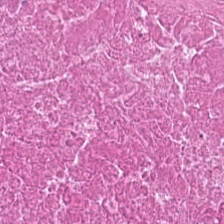Predominantly debris.
